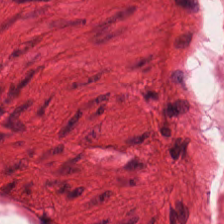H&E stain.
Predominantly smooth-muscle tissue.
